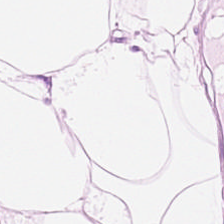224×224 px patch · hematoxylin-and-eosin stained section.
The classification is fat tissue.
